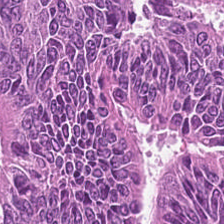H&E stain. This field is tumor epithelium.
